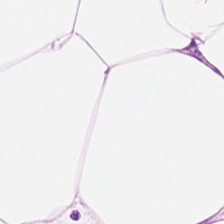Hematoxylin and eosin.
This field is adipose.
